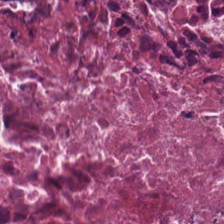H&E; FFPE; 224×224 px patch — Tissue class — necrotic debris.
